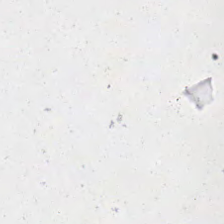Whole-slide-image patch; 224×224 px patch; H&E-stained tissue section — Field content — no tissue.
